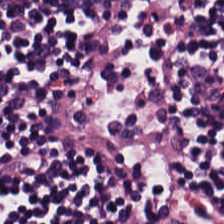Q: What is shown here?
A: Lymphocyte aggregate.
